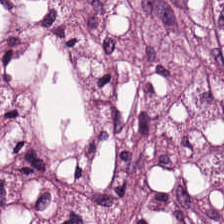224×224 pixel tile · hematoxylin and eosin.
Tissue class = tumor-associated stroma.
